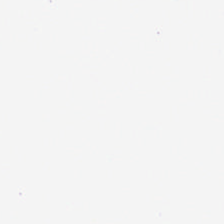FFPE tissue section. H&E stain.
Impression — background.
